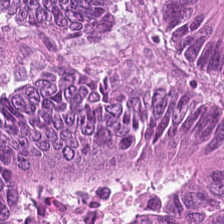H&E stain.
Finding — colorectal adenocarcinoma.
